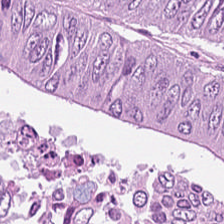Hematoxylin-and-eosin stained section — Histology — malignant epithelium.
